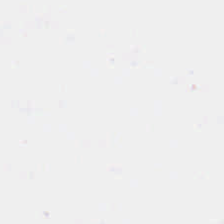Hematoxylin-and-eosin stained section.
Q: Classify this patch.
A: No tissue.
